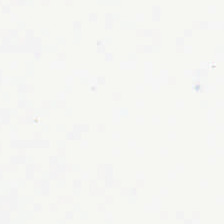Stain: H&E-stained tissue section.
Classification: no tissue.
